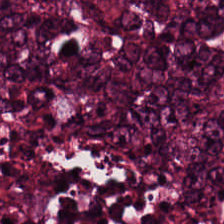H&E-stained tissue section. Tumor epithelium.
